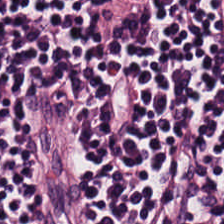The predominant tissue is lymphocytes.
